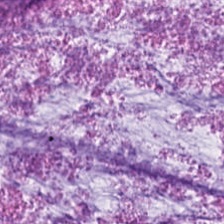Hematoxylin and eosin. 0.5 µm per pixel — Predominant tissue = extracellular mucin.
